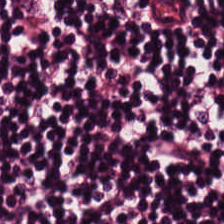Hematoxylin and eosin.
Finding → lymphocyte aggregate.
